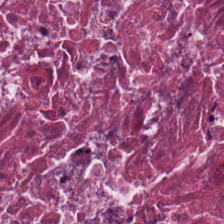H&E-stained tissue section; FFPE — Q: What tissue is shown?
A: Debris.
